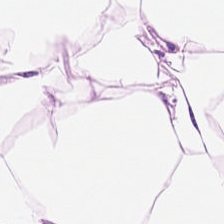Hematoxylin and eosin; FFPE.
Classification = adipose tissue.
